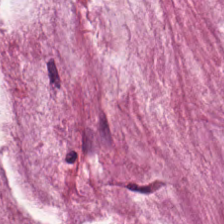Hematoxylin-and-eosin stained section — Tissue class = mucin.
